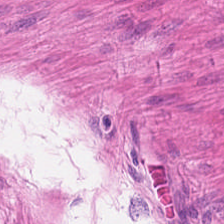Stain: H&E-stained tissue section.
Tissue class: muscularis.
